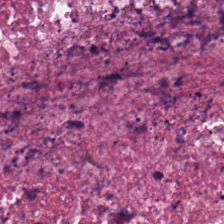H&E-stained tissue section — {"tissue_type": "debris"}
